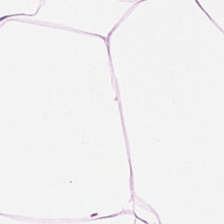Hematoxylin and eosin · brightfield microscopy — Predominantly adipocytes.
